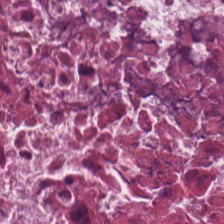Hematoxylin-and-eosin stained section · whole-slide-image patch — Impression — debris.
